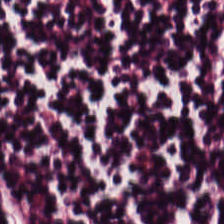Hematoxylin-and-eosin stained section. 0.5 microns per pixel.
Classification = lymphocytes.
